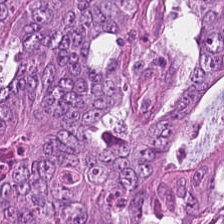224×224 pixel tile. H&E — Predominant tissue = malignant epithelium.
